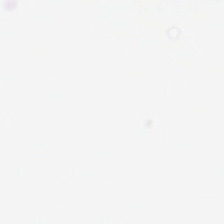Hematoxylin and eosin.
Finding → background (no tissue).
